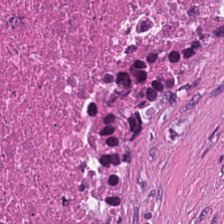Stain: H&E stain.
Preparation: formalin-fixed paraffin-embedded section.
Acquisition: brightfield.
Tissue class: cellular debris.
